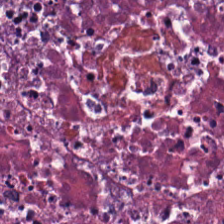H&E stain — Necrotic debris.
